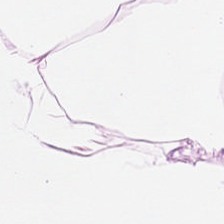Hematoxylin-and-eosin stained section. Q: What is shown in this field?
A: The field shows adipose tissue.
